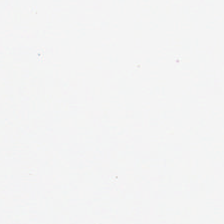H&E.
The classification is empty background.
